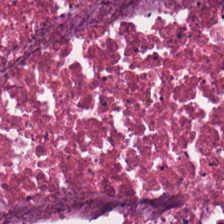Brightfield microscopy; formalin-fixed paraffin-embedded section; H&E-stained tissue section.
This patch shows debris.
